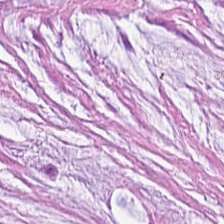224×224 pixel tile; hematoxylin and eosin — Tissue type — mucin.
